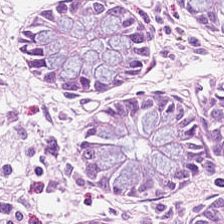FFPE · hematoxylin-and-eosin stained section · 224×224 pixel tile.
Impression — normal colonic mucosa.
